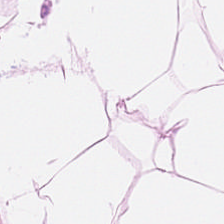H&E. Q: What tissue type is shown here?
A: Fat tissue.
